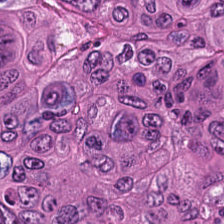Hematoxylin and eosin.
Finding — colorectal adenocarcinoma epithelium.
